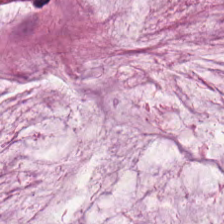Hematoxylin and eosin. 224×224 px tile.
This patch shows mucin.
